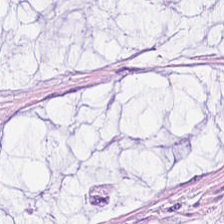Brightfield microscopy · H&E-stained tissue section · 0.5 µm/px. This patch shows mucus.
